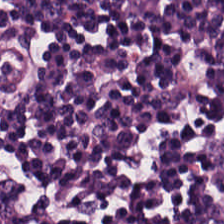Hematoxylin and eosin · 20× equivalent magnification · WSI patch. Q: What is the predominant tissue type?
A: It is lymphocytic infiltrate.
